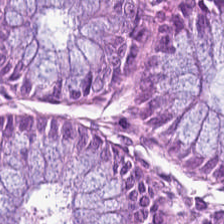Formalin-fixed paraffin-embedded section · H&E-stained tissue section · 224×224 px patch.
The predominant tissue is normal colonic mucosa.
